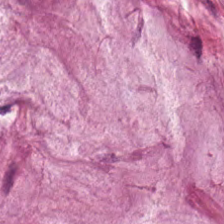H&E-stained tissue section. WSI patch. The predominant tissue is mucin.
